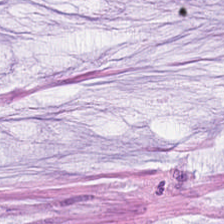H&E. Q: Identify the tissue.
A: The field shows mucus.
